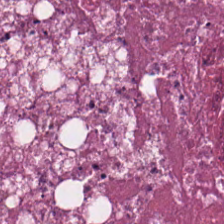0.5 µm per pixel. H&E — Finding — necrotic debris.
